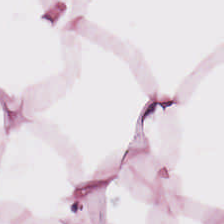Hematoxylin and eosin. 20× equivalent magnification — Q: What type of tissue is this?
A: This is adipose.
